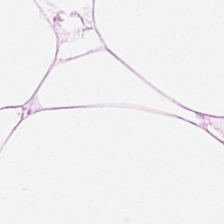Finding → adipocytes.
